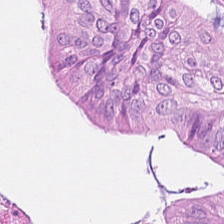Brightfield. Hematoxylin-and-eosin stained section — Finding — tumor epithelium.
